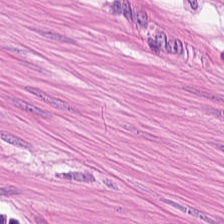Hematoxylin and eosin. Showing smooth-muscle tissue.
